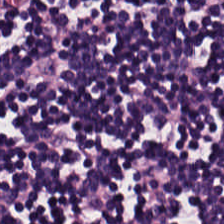0.5 µm per pixel; brightfield microscopy; hematoxylin and eosin. Predominant tissue: lymphocyte aggregate.
